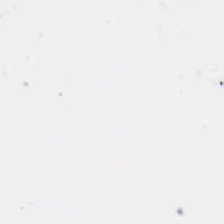FFPE tissue section; hematoxylin and eosin; brightfield microscopy.
Background — no tissue in this field.
